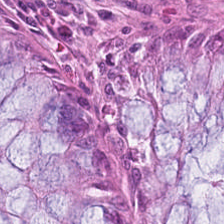Tissue type: benign colonic mucosa.
